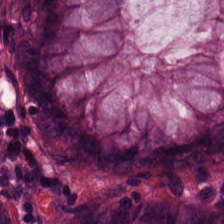Hematoxylin-and-eosin stained section; FFPE tissue section; 224×224 px patch — Q: Identify the tissue.
A: The field shows normal colonic mucosa.
